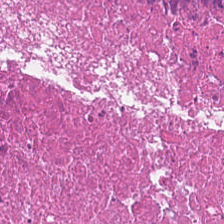Hematoxylin-and-eosin stained section. The tissue here is debris.
